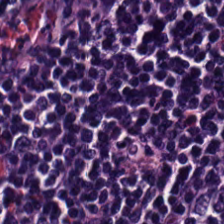{"tissue_type": "lymphocyte aggregate"}
